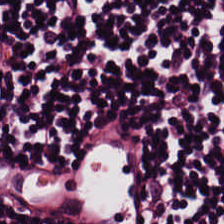H&E stain — This patch shows lymphocytes.
